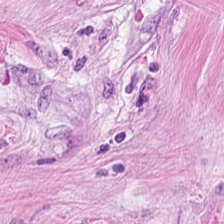H&E-stained tissue section — Histology — cancer-associated stroma.
